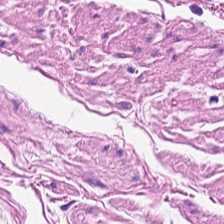H&E-stained tissue section — This field is smooth-muscle tissue.
